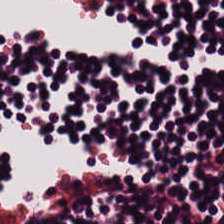H&E stain.
Q: Classify this patch.
A: The field shows lymphocytic infiltrate.
